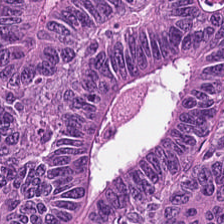Hematoxylin-and-eosin stained section; 0.5 µm/px — Showing colorectal adenocarcinoma epithelium.
